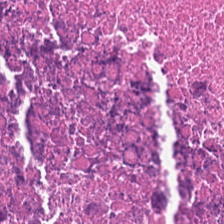Hematoxylin and eosin. Histology — cellular debris.
